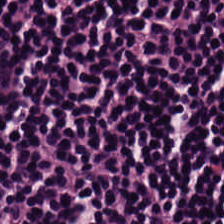0.5 µm/px; hematoxylin-and-eosin stained section. This patch shows lymphocytes.
